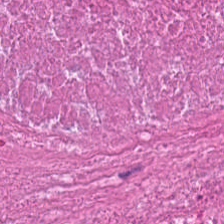H&E stain — Predominant tissue: necrotic debris.
